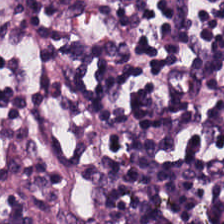H&E stain.
Classification: lymphoid infiltrate.
